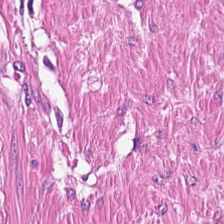0.5 µm/px. H&E-stained tissue section. Formalin-fixed paraffin-embedded section.
Q: What tissue type is shown here?
A: This is smooth muscle.
